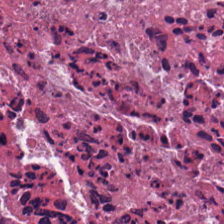224×224 pixel tile · hematoxylin and eosin.
Q: Classify this patch.
A: It is debris.
